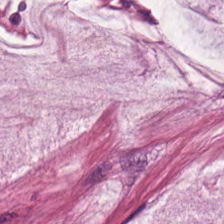Predominantly extracellular mucin.
